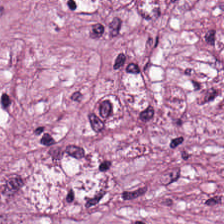Stain: hematoxylin and eosin.
Tile size: 224×224 pixel tile.
Tissue class: tumor-associated stroma.
